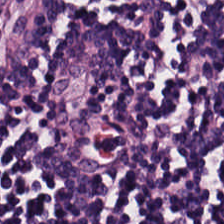Hematoxylin and eosin. The predominant tissue is lymphocytic infiltrate.
